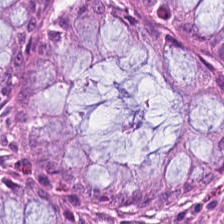H&E.
The tissue here is benign colonic mucosa.
